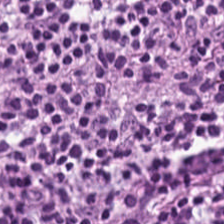H&E · FFPE. This patch shows lymphocytic infiltrate.
